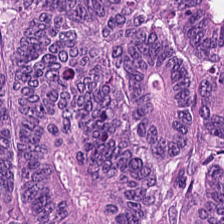Hematoxylin-and-eosin stained section. 224×224 pixel tile — Malignant epithelium.
